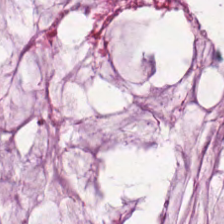H&E-stained tissue section; 0.5 µm/px. Q: What tissue type is shown here?
A: This is extracellular mucin.
